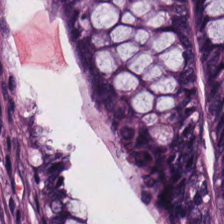{"tissue_type": "non-neoplastic colon mucosa"}
